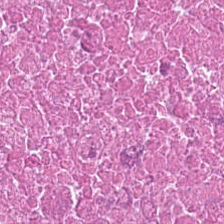H&E-stained tissue section. Tissue class — necrotic debris.
